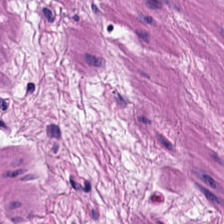H&E stain — Histology — smooth-muscle tissue.
